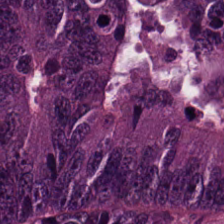224×224 pixel tile. H&E — Predominant tissue: malignant epithelium.
